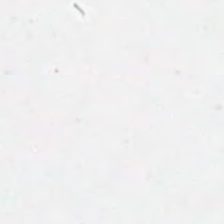H&E-stained tissue section. 0.5 microns per pixel.
Background — no tissue in this field.
